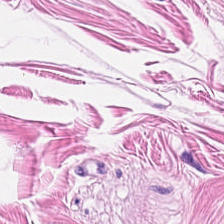H&E stain. 0.5 microns per pixel. 224×224 px tile — The tissue here is muscularis.
